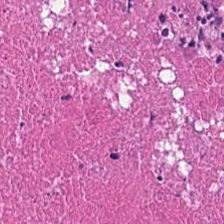Stain: H&E-stained tissue section.
Classification: debris.
